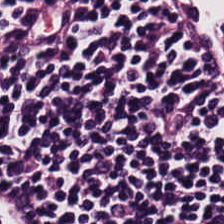H&E.
Lymphocytes.
